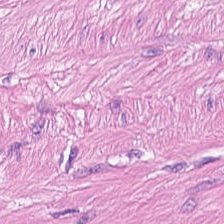H&E-stained tissue section. Q: Identify the tissue.
A: This is smooth-muscle tissue.
